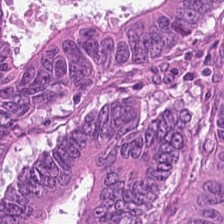Brightfield; 0.5 µm/px; hematoxylin and eosin.
Finding — tumor epithelium.
